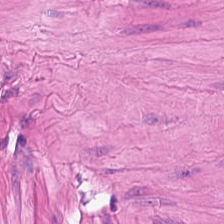Stain: hematoxylin-and-eosin stained section.
Tile size: 224×224 px tile.
Predominant tissue: muscularis.
